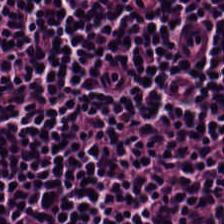Hematoxylin-and-eosin section: lymphocytic infiltrate.
